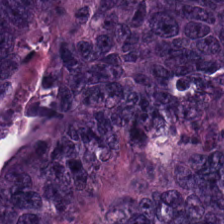Stain: hematoxylin-and-eosin stained section.
Preparation: FFPE tissue section.
Tissue: malignant epithelium.
